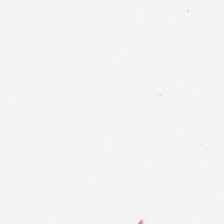Hematoxylin-and-eosin stained section. Histology → background (no tissue).
